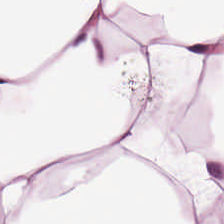This patch shows adipose tissue.
